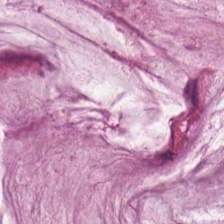Hematoxylin-and-eosin stained section; 224×224 px patch — {"tissue_type": "mucin"}
